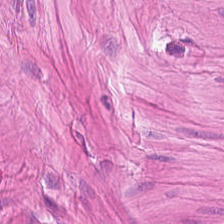H&E stain — This field is smooth muscle.
